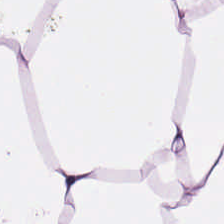Hematoxylin-and-eosin stained section; WSI patch.
Histology → adipocytes.
